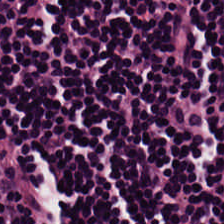Hematoxylin-and-eosin stained section. The predominant tissue is lymphoid infiltrate.
